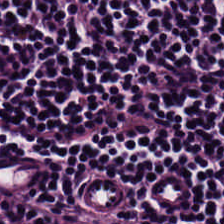224×224 px patch · hematoxylin-and-eosin stained section.
Predominantly lymphoid infiltrate.
